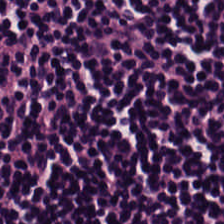Hematoxylin-and-eosin stained section.
Predominantly lymphocytic infiltrate.
